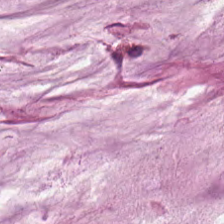H&E. Q: What is shown in this field?
A: It is mucus.
